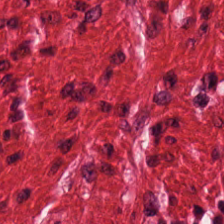FFPE. Hematoxylin and eosin.
The tissue is smooth muscle.
